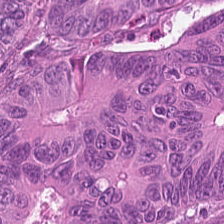Stain: H&E stain.
Preparation: formalin-fixed paraffin-embedded section.
Tissue class: malignant epithelium.
